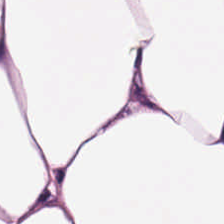Stain: H&E.
Preparation: FFPE.
Tissue class: adipose tissue.
